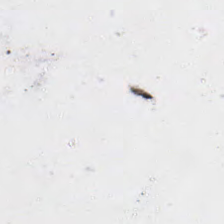Hematoxylin and eosin · 0.5 µm/px · formalin-fixed paraffin-embedded section. Field content = no tissue.
